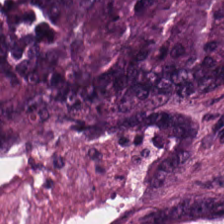Hematoxylin and eosin — Tissue type — malignant epithelium.
